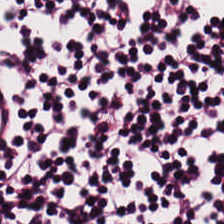224×224 pixel tile. H&E-stained tissue section. 0.5 µm per pixel.
The tissue here is lymphocytes.
